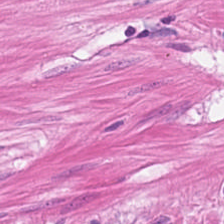20× equivalent magnification. Hematoxylin-and-eosin stained section. This field is smooth muscle.
